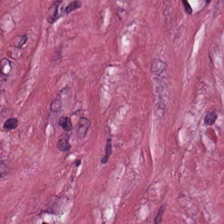H&E-stained section; the field shows desmoplastic stroma.
